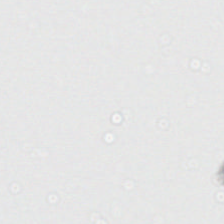Hematoxylin-and-eosin stained section.
Q: What is shown in this field?
A: It is background (no tissue).
